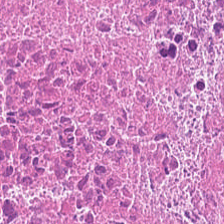H&E-stained tissue section. The tissue here is debris.
